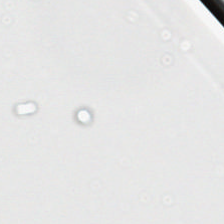Stain: hematoxylin-and-eosin stained section.
Classification: background.
